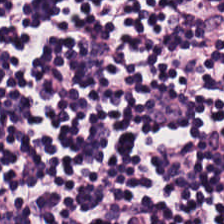H&E; brightfield.
The tissue here is lymphocyte aggregate.
